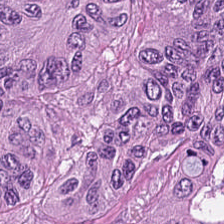Hematoxylin and eosin.
Classification: adenocarcinoma.
